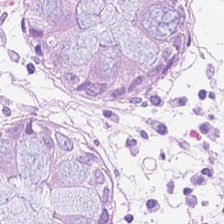H&E stain.
Benign colonic mucosa.
